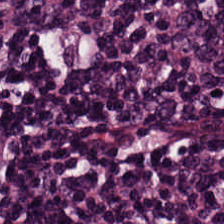0.5 µm/px. WSI patch. H&E stain.
The tissue class is lymphoid infiltrate.
